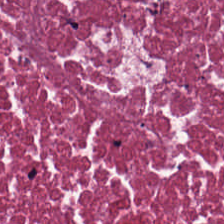Hematoxylin and eosin. Tissue type — necrotic debris.
